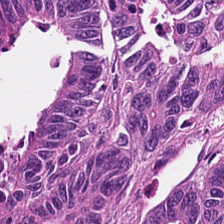Finding → tumor epithelium.
